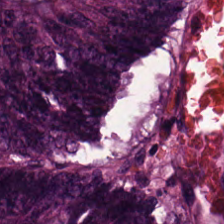H&E.
Tissue type: malignant epithelium.
